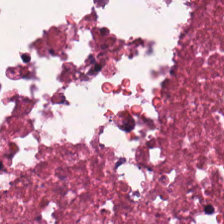{"tissue_type": "necrotic debris"}
